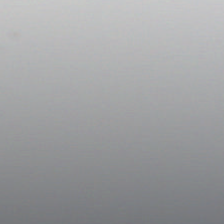H&E-stained tissue section. Q: What is shown here?
A: Empty background.
